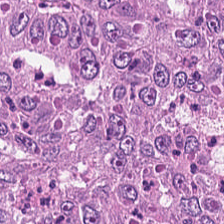Formalin-fixed paraffin-embedded section · 0.5 µm per pixel · hematoxylin-and-eosin stained section.
This field is colorectal adenocarcinoma.
